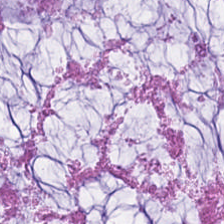Brightfield microscopy. H&E. The predominant tissue is mucin.
